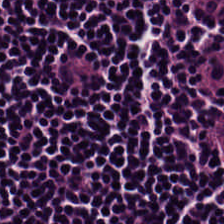This field is lymphocytic infiltrate.
